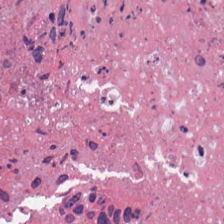Q: Classify this patch.
A: The field shows necrotic debris.
